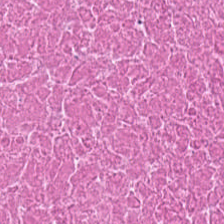Q: What tissue is shown?
A: The field shows cellular debris.
